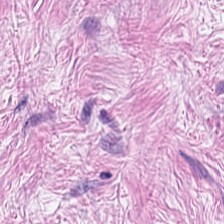224×224 pixel tile; H&E stain.
Predominantly tumor-associated stroma.
